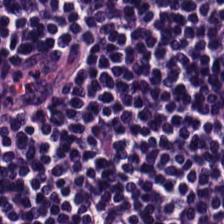Hematoxylin-and-eosin stained section. Predominantly lymphoid infiltrate.
